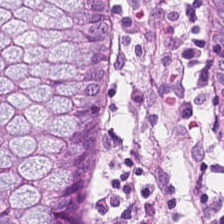Impression → normal colon mucosa.
